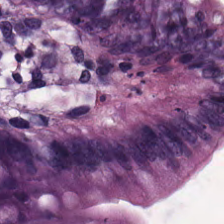The predominant tissue is benign colonic mucosa.
